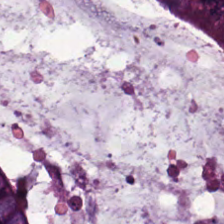Histology — colorectal adenocarcinoma epithelium.
